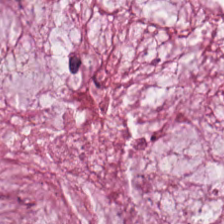H&E stain. This field is mucin.
